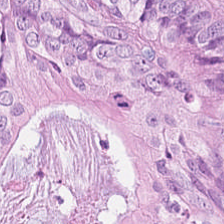H&E.
Classification — adenocarcinoma.
